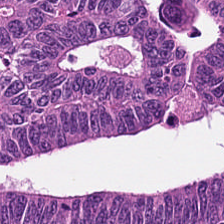Stain: H&E.
Predominant tissue: adenocarcinoma.
